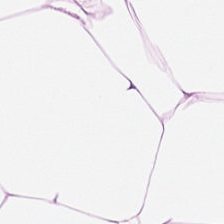Stain: H&E-stained tissue section.
Classification: adipocytes.
